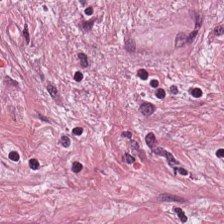Hematoxylin-and-eosin stained section. This patch shows tumor stroma.
